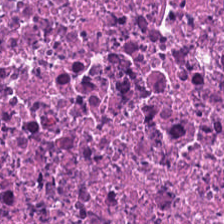FFPE tissue section · hematoxylin and eosin.
Tissue = cellular debris.
